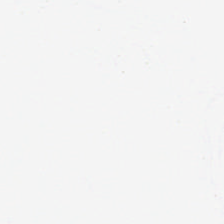Stain: H&E stain.
Acquisition: whole-slide-image patch.
Classification: empty background.
